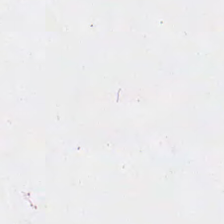Classification: empty background.
